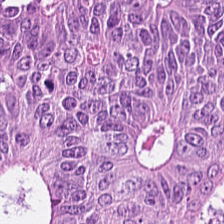Hematoxylin-and-eosin stained section — Predominant tissue = adenocarcinoma.
